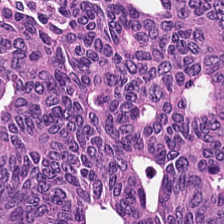Tissue — tumor epithelium.
